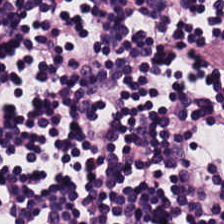Finding — lymphoid infiltrate.
